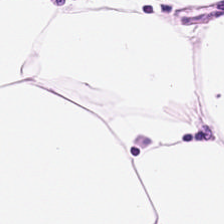Tissue class: adipose tissue.
